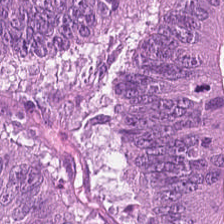H&E.
Histology — tumor epithelium.
